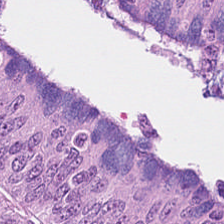224×224 px tile; H&E-stained tissue section. Q: What type of tissue is this?
A: The field shows colorectal adenocarcinoma.
